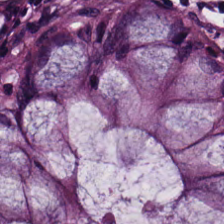H&E; 0.5 µm/px — The tissue here is normal colon mucosa.
